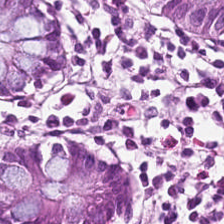H&E — {"tissue_type": "normal colon mucosa"}
